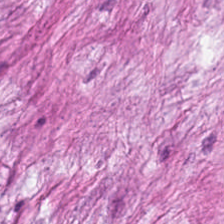H&E — The tissue class is tumor stroma.
